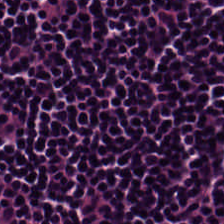Hematoxylin and eosin. Q: What is the predominant tissue type?
A: Lymphocytic infiltrate.
